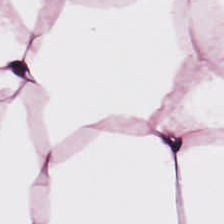H&E stain.
{"tissue_type": "adipocytes"}
